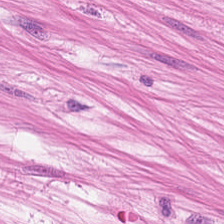Q: What is shown in this field?
A: Smooth-muscle tissue.
